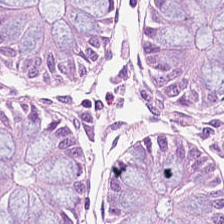Stain: H&E.
Tissue type: non-neoplastic colon mucosa.
